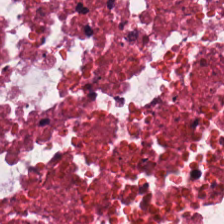FFPE. 224×224 pixel tile. H&E — Necrotic debris.
